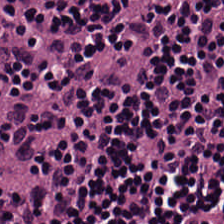H&E stain. Impression → lymphocyte aggregate.
